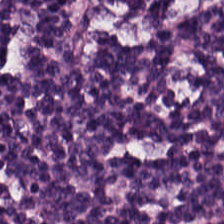Hematoxylin-and-eosin stained section. Predominant tissue — lymphocyte aggregate.
